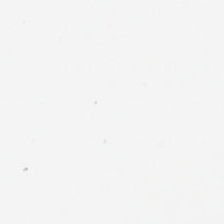Stain: hematoxylin-and-eosin stained section.
Field content: background (no tissue).
